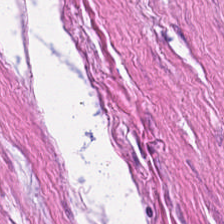Stain: H&E stain.
Acquisition: brightfield.
Tissue class: smooth muscle.
